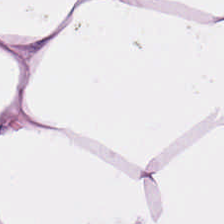H&E stain — {"tissue_type": "adipose"}
